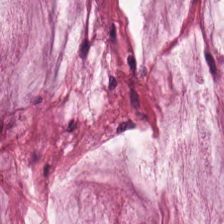H&E-stained tissue section.
Finding — mucus.
